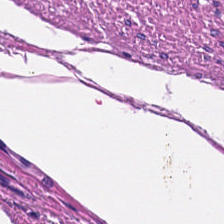WSI patch. H&E — {"tissue_type": "muscularis"}
